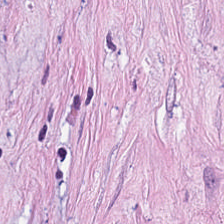Hematoxylin-and-eosin stained section · 0.5 µm/px — Q: What type of tissue is this?
A: Cancer-associated stroma.
